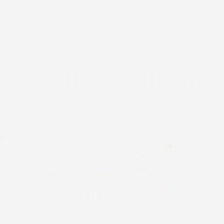{"content": "empty background"}
